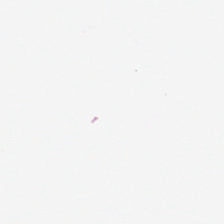Classification — background (no tissue).
